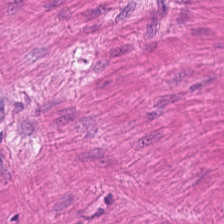Formalin-fixed paraffin-embedded section; H&E-stained tissue section — Showing smooth muscle.
